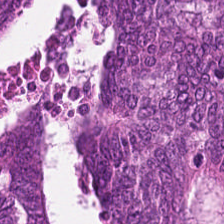Q: What type of tissue is this?
A: This is adenocarcinoma.
